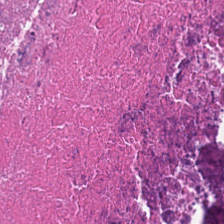224×224 pixel tile. Hematoxylin and eosin. Tissue = debris.
